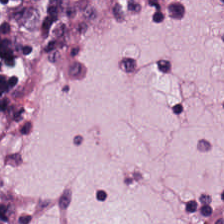H&E-stained tissue section — The tissue here is lymphocyte aggregate.
